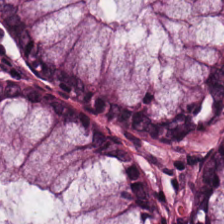Tissue type — benign colonic mucosa.
